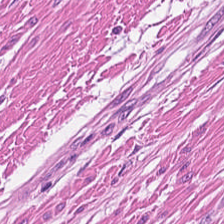H&E — smooth-muscle tissue.
